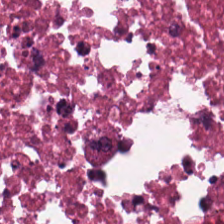Q: Identify the tissue.
A: This is necrotic debris.
